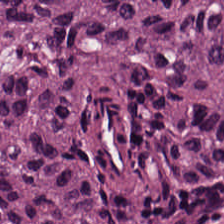224×224 px patch. H&E stain — The predominant tissue is colorectal adenocarcinoma.
